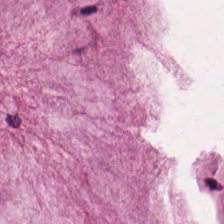Stain: H&E stain.
Preparation: formalin-fixed paraffin-embedded section.
Tissue type: extracellular mucin.
